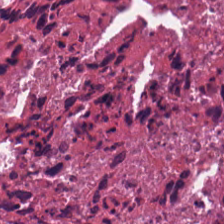Stain: H&E-stained tissue section.
Tissue class: debris.
